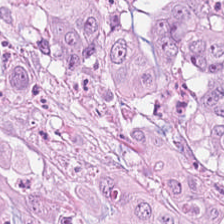The tissue here is malignant epithelium.
